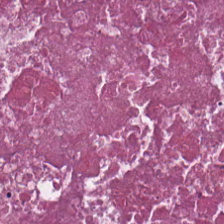Hematoxylin and eosin.
Histology → debris.
